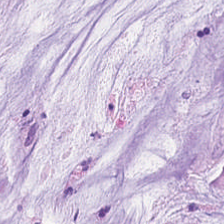Stain: hematoxylin-and-eosin stained section.
Acquisition: brightfield microscopy.
Tissue: extracellular mucin.
